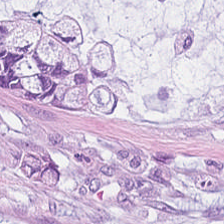H&E; formalin-fixed paraffin-embedded section. {"tissue_type": "mucus"}
